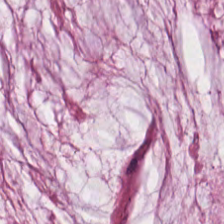H&E-stained tissue section.
The classification is mucus.
